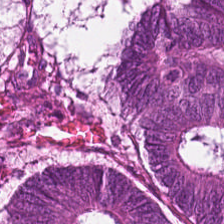Hematoxylin and eosin; whole-slide-image patch; FFPE. The tissue type is tumor epithelium.
